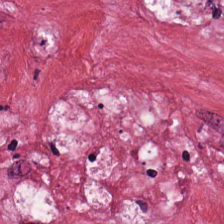H&E-stained tissue section showing cancer-associated stroma.
